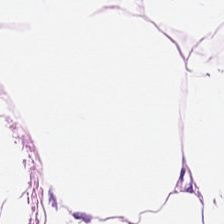H&E-stained tissue section — Q: Identify the tissue.
A: The field shows adipocytes.
